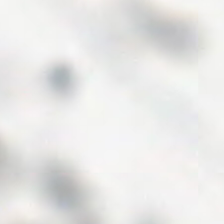Hematoxylin and eosin · 0.5 µm per pixel · whole-slide-image patch — Q: What is shown here?
A: Empty background.
